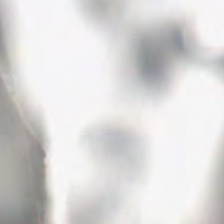H&E stain — This field is background (no tissue).
